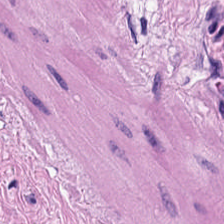Hematoxylin-and-eosin section: smooth muscle.
